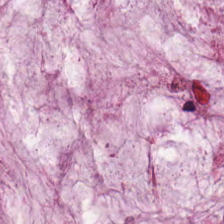Hematoxylin and eosin — Q: What is the predominant tissue type?
A: The field shows mucus.
